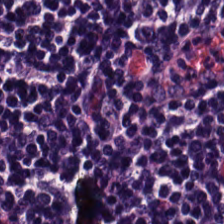H&E-stained tissue section — Showing lymphocytic infiltrate.
